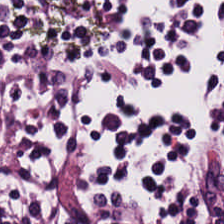Classification — lymphocytes.
